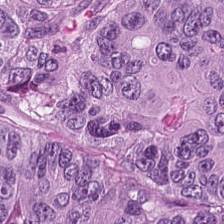Histology — malignant epithelium.
